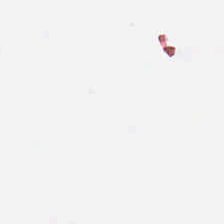Whole-slide-image patch · H&E — Field content: background.
